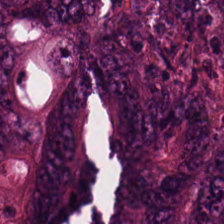Stain: hematoxylin-and-eosin stained section.
Predominant tissue: colorectal adenocarcinoma epithelium.
